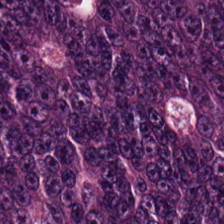224×224 pixel tile · brightfield microscopy · H&E — Tissue class = colorectal adenocarcinoma epithelium.
